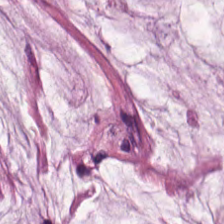Hematoxylin-and-eosin stained section — Predominantly mucus.
